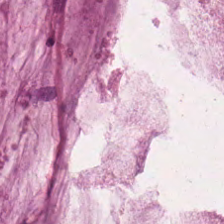H&E stain — Predominant tissue — extracellular mucin.
